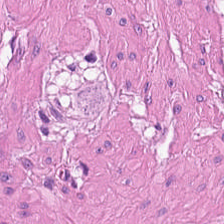H&E; whole-slide-image patch; 224×224 px patch.
Smooth-muscle tissue.
